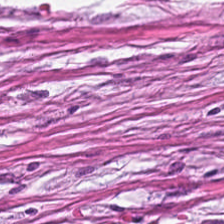Hematoxylin-and-eosin stained section — Predominantly desmoplastic stroma.
